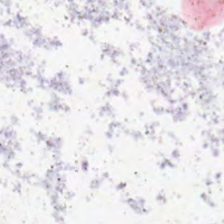Stain: H&E.
Classification: empty background.
